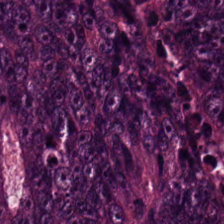Hematoxylin-and-eosin section: adenocarcinoma.
